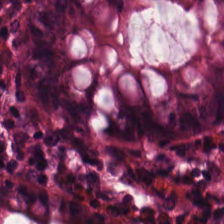Hematoxylin-and-eosin stained section.
The predominant tissue is non-neoplastic colon mucosa.
